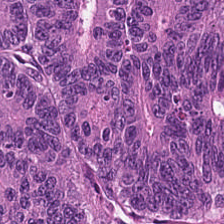H&E; brightfield. The predominant tissue is adenocarcinoma.
